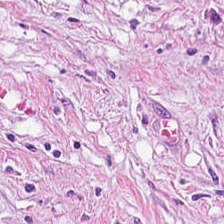H&E — Q: What is the predominant tissue type?
A: The field shows desmoplastic stroma.
